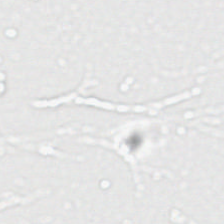H&E-stained tissue section — This patch shows no tissue.
